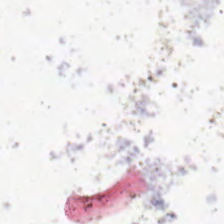Brightfield · H&E stain · 0.5 µm/px.
Q: Classify this patch.
A: The field shows background (no tissue).
